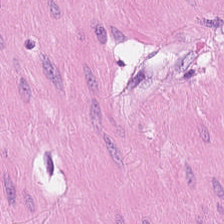H&E stain.
Q: What is shown in this field?
A: It is smooth-muscle tissue.
